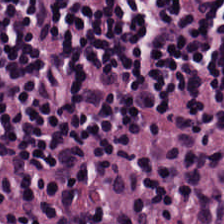H&E — lymphocyte aggregate.
